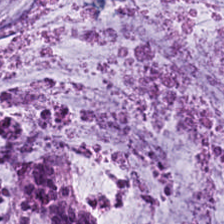H&E-stained tissue section — Q: Identify the tissue.
A: The field shows mucin.
